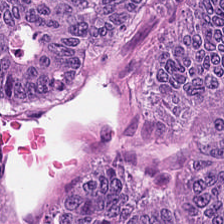Stain: H&E stain.
Tile size: 224×224 px patch.
Tissue type: colorectal adenocarcinoma epithelium.
